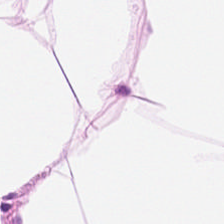Hematoxylin-and-eosin stained section — Adipose.
